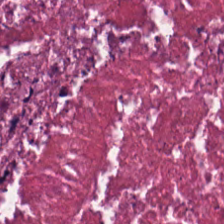FFPE · H&E stain.
This patch shows necrotic debris.
